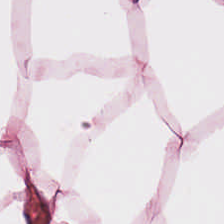H&E — adipose.
